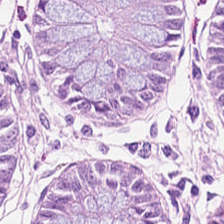224×224 pixel tile; H&E stain.
Showing normal colonic mucosa.
